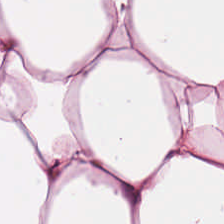Hematoxylin-and-eosin stained section.
Q: What is shown in this field?
A: It is fat tissue.
